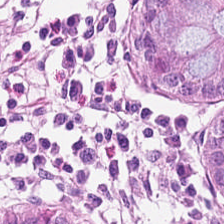Predominant tissue = normal colon mucosa.
